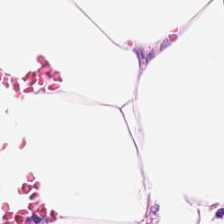Whole-slide-image patch. H&E. The predominant tissue is adipocytes.
